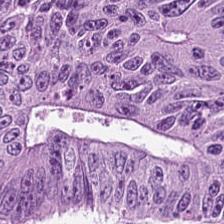H&E.
Colorectal adenocarcinoma.
